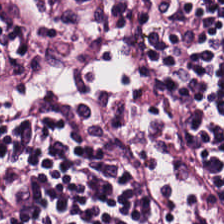FFPE; hematoxylin-and-eosin stained section — Q: What is shown here?
A: Lymphocytic infiltrate.
